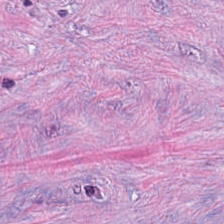H&E stain; 0.5 µm/px — Tissue type: cancer-associated stroma.
